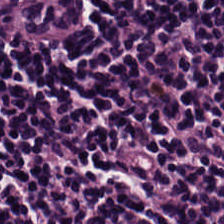H&E stain. Classification — lymphocytes.
